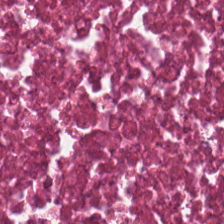Finding — cellular debris.
